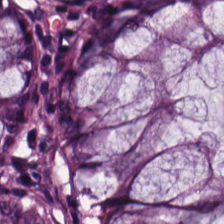H&E patch showing non-neoplastic colon mucosa.
